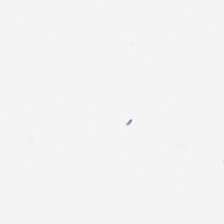FFPE · brightfield microscopy · hematoxylin-and-eosin stained section.
Q: What is shown here?
A: This is background.
